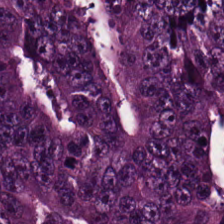H&E — malignant epithelium.
